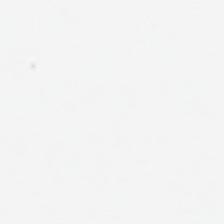H&E.
Q: What is shown in this field?
A: It is background.
